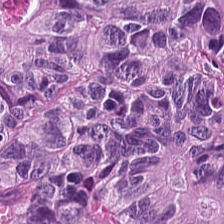Showing tumor epithelium.
